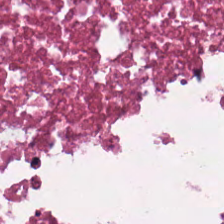H&E stain.
{"tissue_type": "debris"}
